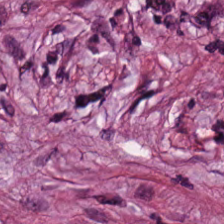The predominant tissue is tumor-associated stroma.
